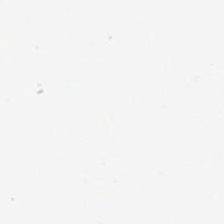H&E.
The field content is no tissue.
